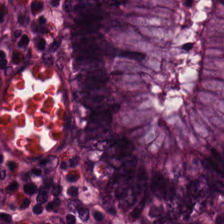Hematoxylin and eosin — This field is normal colon mucosa.
